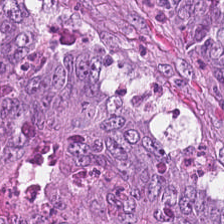224×224 px tile; H&E-stained tissue section — Q: Identify the tissue.
A: This is malignant epithelium.
